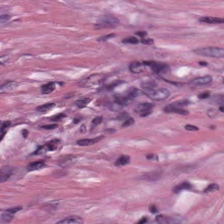Hematoxylin-and-eosin stained section. Q: Classify this patch.
A: This is tumor stroma.
